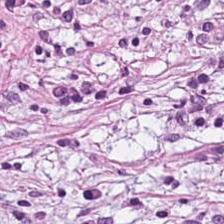H&E stain.
Predominant tissue = cancer-associated stroma.
